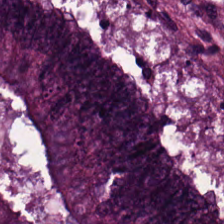The tissue class is adenocarcinoma.
